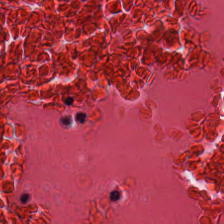Hematoxylin and eosin.
Classification — necrotic debris.
